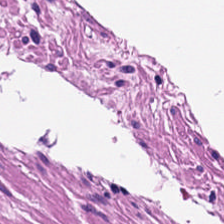Hematoxylin and eosin; 0.5 microns per pixel.
The tissue here is smooth muscle.
